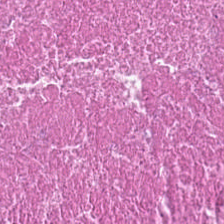224×224 px patch. H&E stain. Formalin-fixed paraffin-embedded section — Q: What type of tissue is this?
A: It is necrotic debris.
